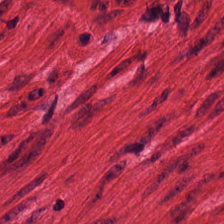Predominant tissue = smooth-muscle tissue.
